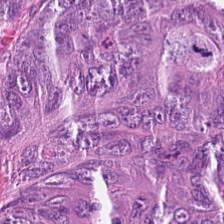Hematoxylin and eosin; 224×224 px patch; 0.5 µm per pixel. Malignant epithelium.
